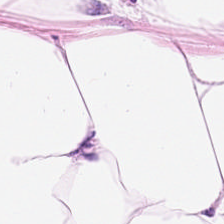Stain: H&E-stained tissue section.
Classification: fat tissue.
